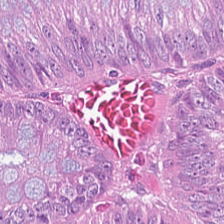The tissue type is tumor epithelium.
